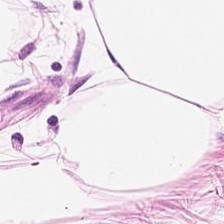H&E stain.
Finding → fat tissue.
